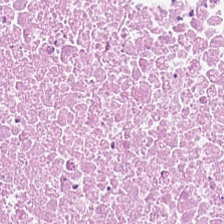Whole-slide-image patch · H&E.
Tissue type: debris.
